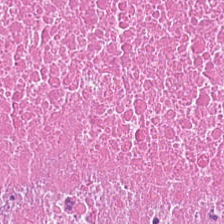Hematoxylin-and-eosin section: necrotic debris.
